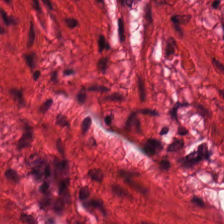Q: What is shown in this field?
A: It is smooth-muscle tissue.
